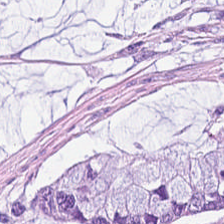Impression → mucus.
